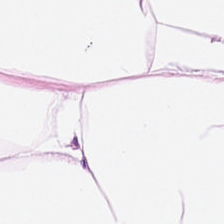224×224 pixel tile; hematoxylin-and-eosin stained section. Tissue class = adipocytes.
